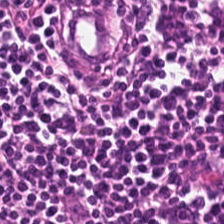H&E — The tissue is lymphocyte aggregate.
